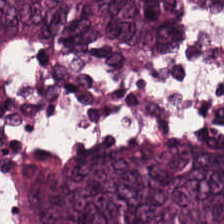Impression → colorectal adenocarcinoma epithelium.
